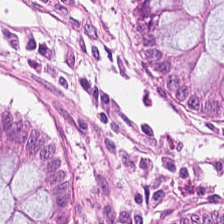20× equivalent magnification; H&E-stained tissue section — The predominant tissue is normal colon mucosa.
